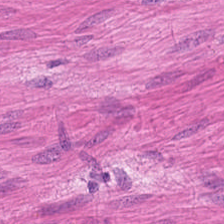Hematoxylin-and-eosin stained section.
This patch shows smooth muscle.
